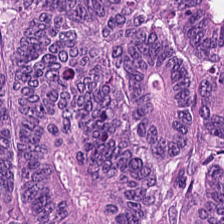Predominant tissue — colorectal adenocarcinoma epithelium.
